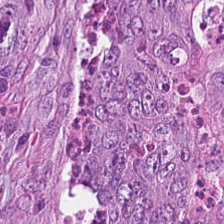FFPE. Hematoxylin-and-eosin stained section. Q: What tissue type is shown here?
A: It is colorectal adenocarcinoma epithelium.
